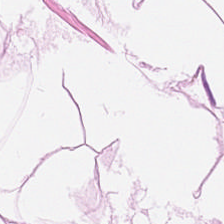Hematoxylin-and-eosin stained section · FFPE · brightfield microscopy — Tissue: adipose.
